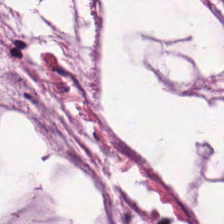H&E-stained tissue section. Q: Identify the tissue.
A: This is extracellular mucin.
